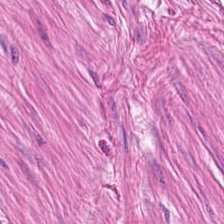224×224 pixel tile; 0.5 µm per pixel; H&E-stained tissue section.
{"tissue_type": "smooth muscle"}
